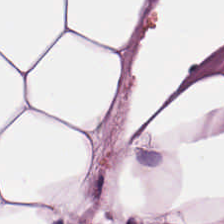Tissue type: adipose.
